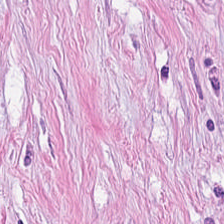Impression — tumor-associated stroma.
